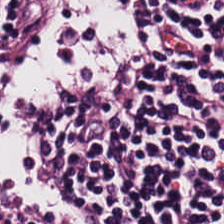H&E-stained tissue section; FFPE tissue section. Lymphoid infiltrate.
